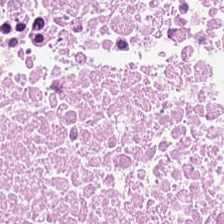FFPE tissue section. Brightfield. H&E-stained tissue section.
Q: What tissue type is shown here?
A: It is cellular debris.
